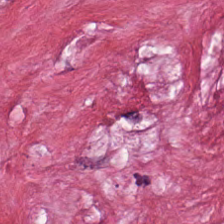224×224 px tile · hematoxylin and eosin · 0.5 microns per pixel. Showing tumor stroma.
